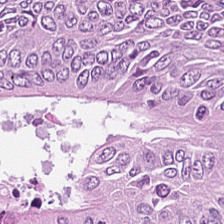Stain: H&E-stained tissue section.
Classification: tumor epithelium.
